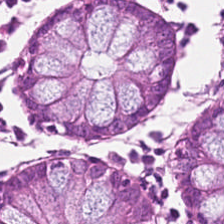Stain: hematoxylin and eosin.
Tile size: 224×224 pixel tile.
Tissue: normal colonic mucosa.
